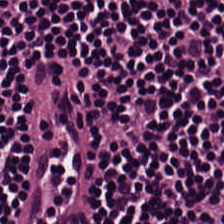H&E; FFPE; WSI patch. Predominant tissue — lymphocyte aggregate.
